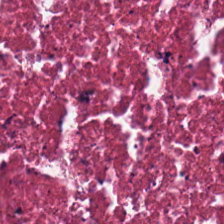Stain: hematoxylin-and-eosin stained section.
Tissue: debris.
